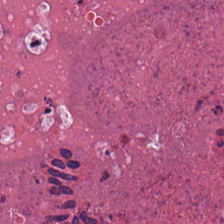Hematoxylin-and-eosin stained section.
Debris.
